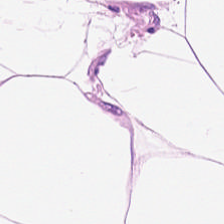FFPE. 224×224 px tile. H&E-stained tissue section. Showing adipose tissue.
